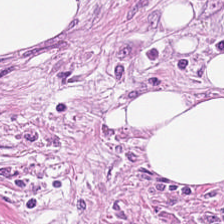0.5 µm/px · H&E-stained tissue section · FFPE. Tissue = tumor stroma.
